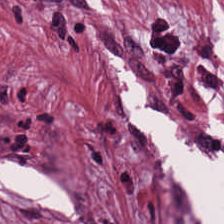FFPE tissue section. Hematoxylin and eosin. 224×224 pixel tile.
This patch shows desmoplastic stroma.
